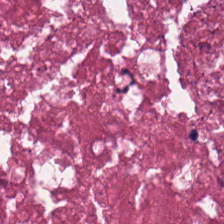Histology → debris.
